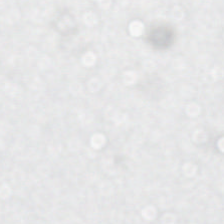H&E.
{"content": "empty background"}
